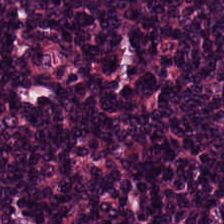Predominantly lymphoid infiltrate.
